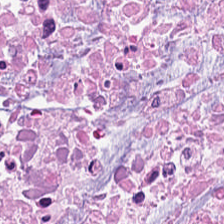FFPE · 20× equivalent magnification · H&E. Q: What is shown in this field?
A: Debris.
